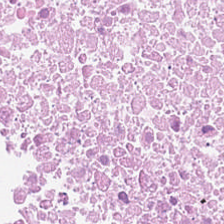H&E stain — This field is necrotic debris.
